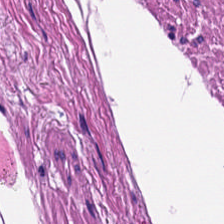Stain: H&E-stained tissue section.
Predominant tissue: smooth muscle.
